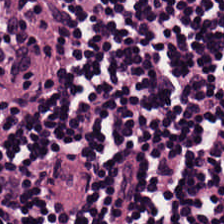H&E.
{"tissue_type": "lymphocytic infiltrate"}
